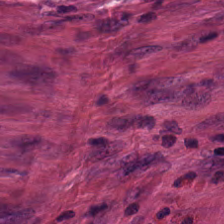H&E stain. Classification — desmoplastic stroma.
